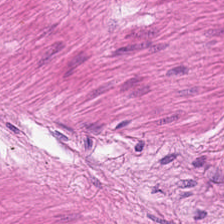Whole-slide-image patch; H&E — {"tissue_type": "muscularis"}
